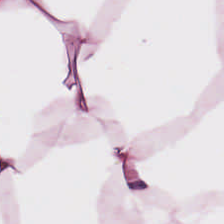Predominant tissue — adipose.
